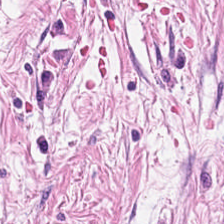H&E. Predominant tissue: tumor-associated stroma.
